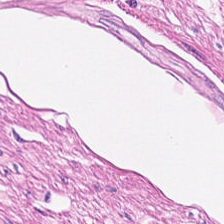Brightfield microscopy · H&E.
Classification: muscularis.
